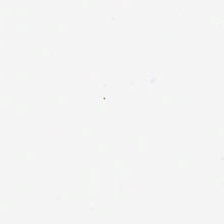Q: What does this patch show?
A: This is background (no tissue).
